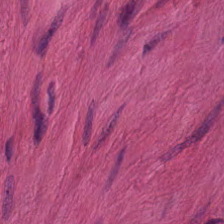Stain: H&E.
Acquisition: WSI patch.
Classification: smooth muscle.
